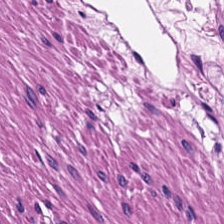Stain: H&E stain.
Tissue type: muscularis.
